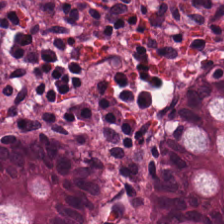Hematoxylin-and-eosin stained section.
Finding — normal colon mucosa.
